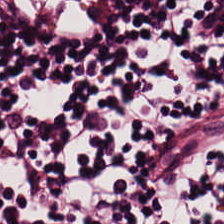FFPE. H&E — Tissue: lymphoid infiltrate.
